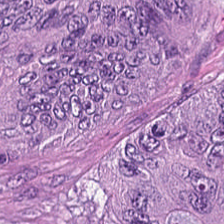Hematoxylin and eosin — Predominant tissue: tumor epithelium.
